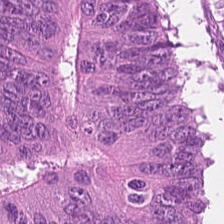Stain: H&E stain.
Acquisition: brightfield.
Tissue class: malignant epithelium.
